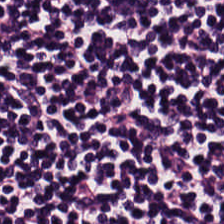H&E stain. Brightfield microscopy. Histology — lymphocytes.
